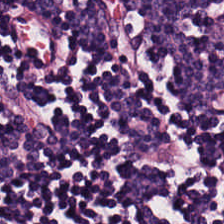H&E-stained tissue section. Brightfield.
Finding → lymphoid infiltrate.
